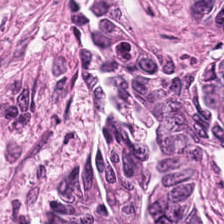FFPE tissue section. Hematoxylin and eosin.
Q: What is the predominant tissue type?
A: The field shows adenocarcinoma.
